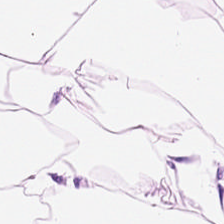H&E stain. This field is adipocytes.
